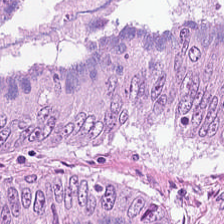H&E-stained tissue section — Q: What tissue type is shown here?
A: The field shows malignant epithelium.
